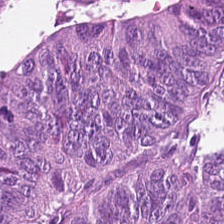H&E-stained tissue section.
Predominant tissue: colorectal adenocarcinoma epithelium.
